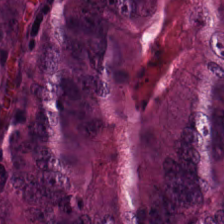Brightfield; hematoxylin and eosin.
The tissue here is malignant epithelium.
